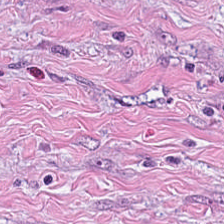H&E stain — Predominant tissue = tumor stroma.
